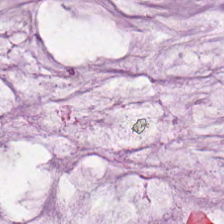Brightfield microscopy; 224×224 px patch; hematoxylin and eosin.
Tissue class = extracellular mucin.
